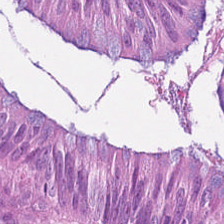The tissue class is tumor epithelium.
